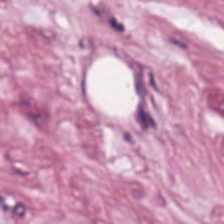Brightfield · 0.5 µm/px · H&E. Impression — desmoplastic stroma.
